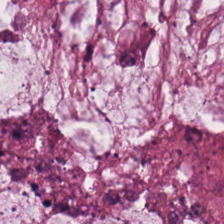WSI patch. 224×224 px tile. H&E — The tissue here is extracellular mucin.
